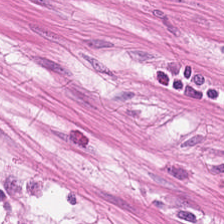224×224 px patch · H&E-stained tissue section.
This field is smooth-muscle tissue.
